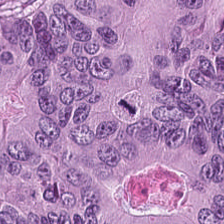This patch shows tumor epithelium.
